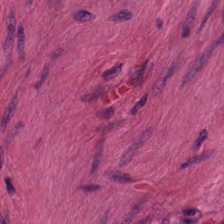H&E stain. 224×224 px patch.
The predominant tissue is muscularis.
